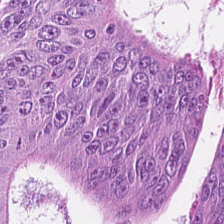0.5 µm/px; brightfield microscopy; hematoxylin and eosin. Tumor epithelium.
